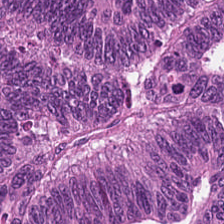Hematoxylin and eosin.
Predominantly malignant epithelium.
